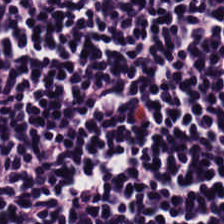H&E-stained tissue section. The predominant tissue is lymphoid infiltrate.
